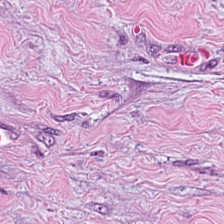Stain: H&E-stained tissue section.
Tissue type: cancer-associated stroma.
